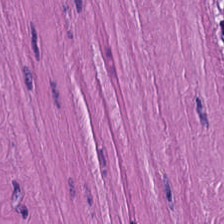H&E-stained tissue section. Classification: muscularis.
